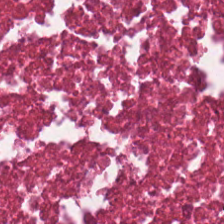0.5 µm/px. Hematoxylin-and-eosin stained section — Q: What is shown in this field?
A: This is cellular debris.
